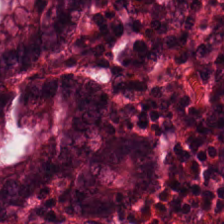Stain: H&E stain.
Tissue: normal colonic mucosa.
